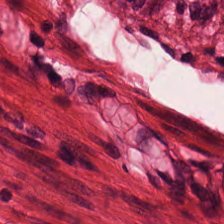224×224 px patch; H&E stain. Tissue type = smooth-muscle tissue.
